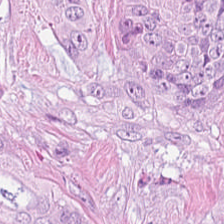H&E-stained tissue section · brightfield microscopy — This field is colorectal adenocarcinoma epithelium.
